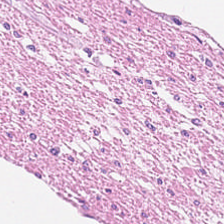Hematoxylin-and-eosin stained section. 0.5 µm per pixel. This field is muscularis.
